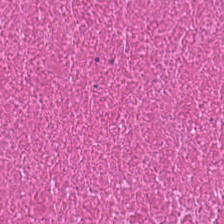H&E-stained tissue section — Tissue class = necrotic debris.
